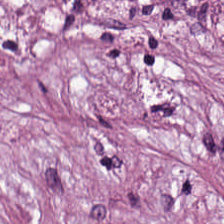H&E · FFPE · 20× equivalent magnification.
Q: What is shown in this field?
A: It is desmoplastic stroma.
